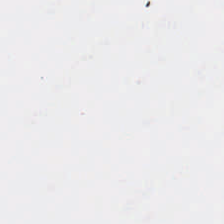H&E-stained tissue section — Content — empty background.
